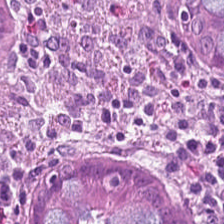H&E — This patch shows non-neoplastic colon mucosa.
